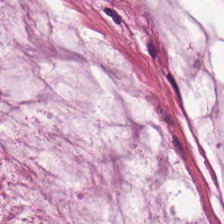This patch shows extracellular mucin.
